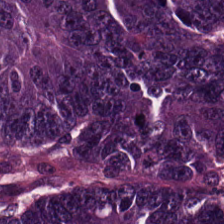H&E. FFPE tissue section — The tissue type is tumor epithelium.
